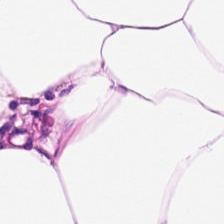Stain: hematoxylin and eosin.
Tissue type: adipocytes.
